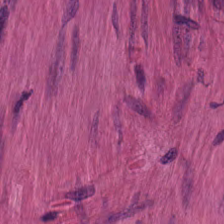Hematoxylin-and-eosin stained section · brightfield microscopy — Predominantly smooth muscle.
